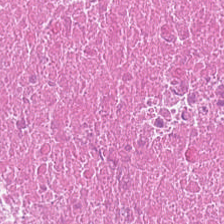H&E-stained tissue section — {"tissue_type": "debris"}
